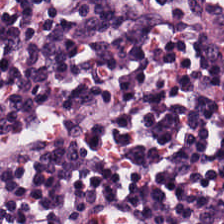Stain: H&E stain.
Tile size: 224×224 pixel tile.
Classification: lymphocytic infiltrate.
